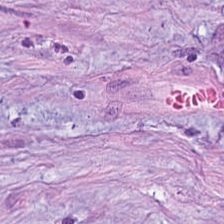H&E-stained tissue section. Finding — cancer-associated stroma.
